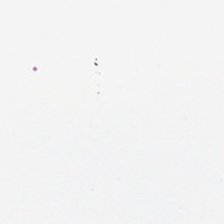Hematoxylin-and-eosin stained section. 0.5 microns per pixel. Whole-slide-image patch.
Field content — empty background.
